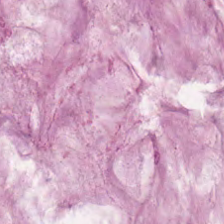Whole-slide-image patch · FFPE · H&E-stained tissue section. Finding — mucin.
